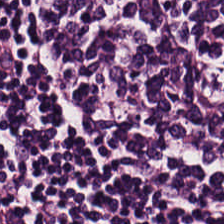Tissue class: lymphoid infiltrate.
